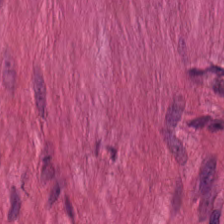Hematoxylin and eosin · 224×224 px patch.
Tissue class — muscularis.
